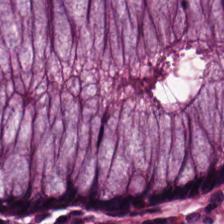Brightfield microscopy; H&E-stained tissue section; 224×224 pixel tile — The predominant tissue is normal colon mucosa.
